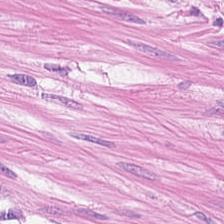H&E — smooth-muscle tissue.
